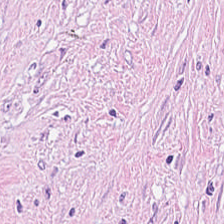Hematoxylin and eosin · 0.5 µm per pixel — Classification — tumor-associated stroma.
